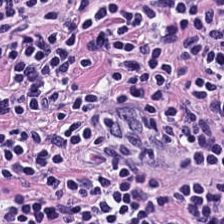The classification is lymphocytes.
